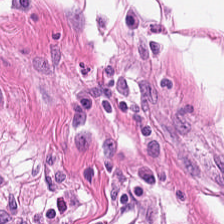Q: What is shown in this field?
A: This is smooth muscle.
